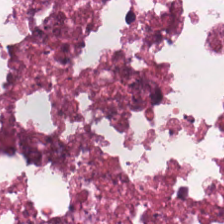Brightfield; H&E-stained tissue section. Q: What is shown in this field?
A: Cellular debris.
